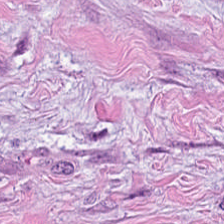Hematoxylin-and-eosin stained section; 224×224 px patch. Showing tumor-associated stroma.
